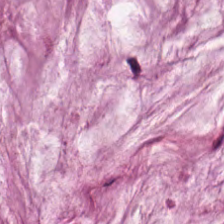Predominant tissue — extracellular mucin.
